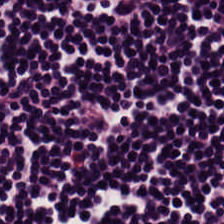H&E — lymphoid infiltrate.
